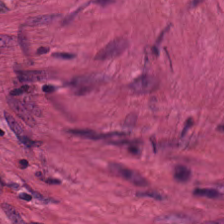H&E-stained tissue section · brightfield · 224×224 pixel tile — Tissue — smooth muscle.
